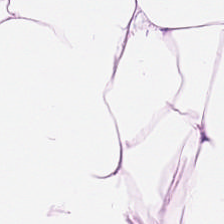H&E stain. {"tissue_type": "fat tissue"}
